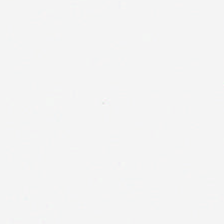H&E; FFPE.
Content: background (no tissue).
